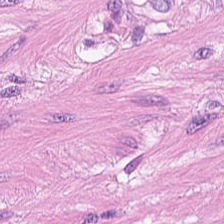Whole-slide-image patch · H&E stain. {"tissue_type": "smooth muscle"}
